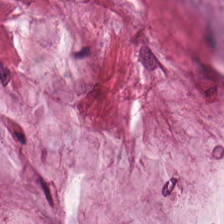Classification — mucus.
